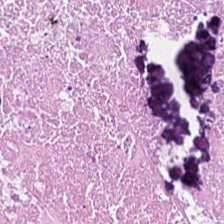Hematoxylin and eosin; 0.5 µm per pixel — Q: What does this patch show?
A: It is cellular debris.
